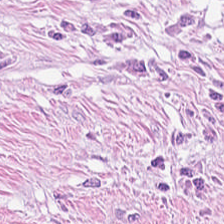Hematoxylin and eosin. The predominant tissue is desmoplastic stroma.
